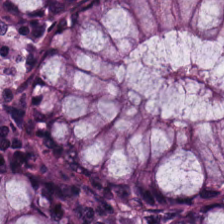Formalin-fixed paraffin-embedded section · H&E · 20× equivalent magnification. Showing normal colon mucosa.
